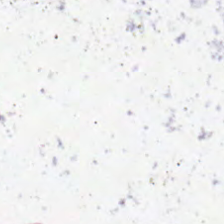224×224 pixel tile; hematoxylin and eosin; brightfield.
Content — background (no tissue).
